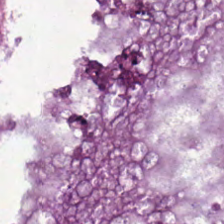H&E stain.
Tissue type: adenocarcinoma.
